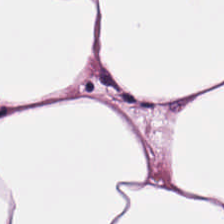Q: What is shown here?
A: Adipose.
